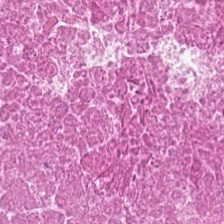H&E stain.
The predominant tissue is debris.
